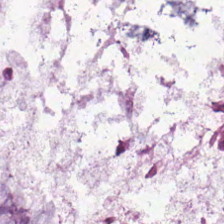H&E-stained tissue section · 0.5 microns per pixel — Finding — mucus.
